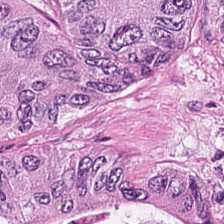Hematoxylin-and-eosin stained section — Tissue type = colorectal adenocarcinoma epithelium.
